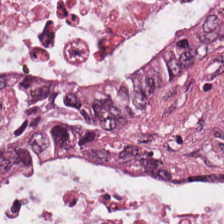Hematoxylin and eosin; formalin-fixed paraffin-embedded section. This patch shows malignant epithelium.
